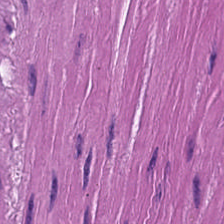Q: What does this patch show?
A: Smooth muscle.
